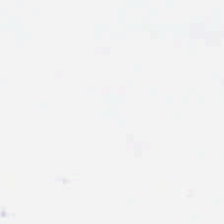This patch shows no tissue.
